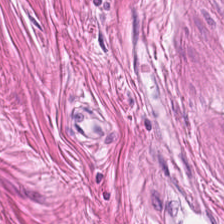Muscularis.
